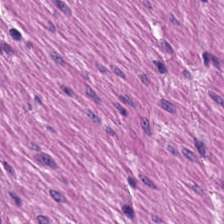H&E; 224×224 pixel tile.
{"tissue_type": "smooth muscle"}
